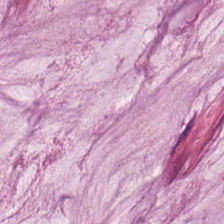H&E stain.
Tissue class — mucin.
